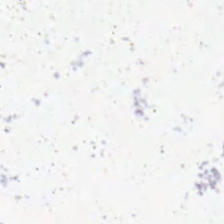H&E. 0.5 µm/px. WSI patch. Q: What is shown in this field?
A: This is background (no tissue).
